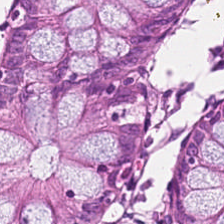H&E.
Predominantly normal colonic mucosa.
